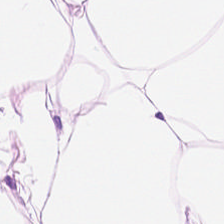Predominant tissue: adipose tissue.
